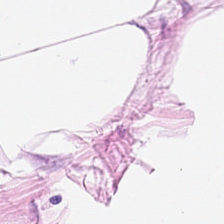Tissue type = adipose tissue.
